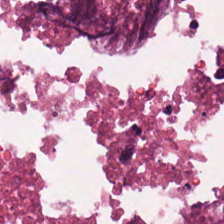Impression → necrotic debris.
